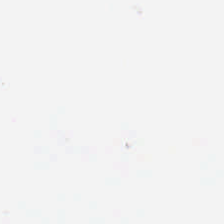Empty field — no tissue.
